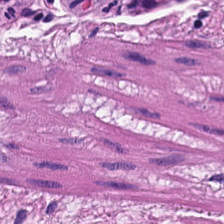The predominant tissue is smooth muscle.
